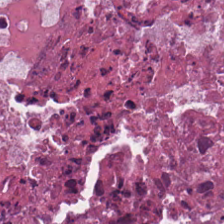Hematoxylin and eosin. Predominantly cellular debris.
